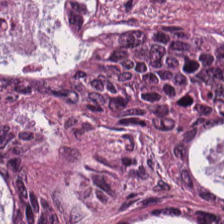Stain: H&E.
Acquisition: brightfield microscopy.
Tissue class: colorectal adenocarcinoma epithelium.
